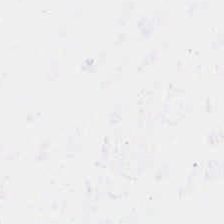No tissue.
